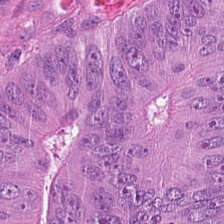Stain: H&E.
Tissue class: colorectal adenocarcinoma epithelium.
